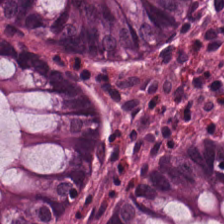Stain: H&E stain.
Preparation: formalin-fixed paraffin-embedded section.
Tissue type: normal colon mucosa.
